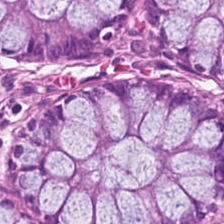H&E. 224×224 pixel tile. Showing benign colonic mucosa.
